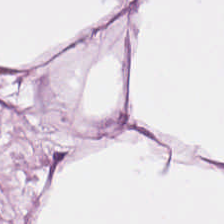Brightfield · 224×224 px patch · H&E stain. Predominant tissue = adipose tissue.
